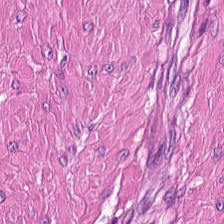Hematoxylin and eosin. 0.5 µm/px. The predominant tissue is smooth muscle.
